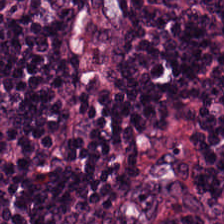20× equivalent magnification · hematoxylin-and-eosin stained section. Showing lymphocyte aggregate.
